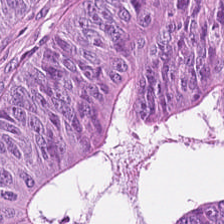H&E stain. Predominantly colorectal adenocarcinoma epithelium.
